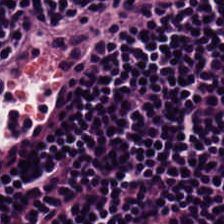Hematoxylin and eosin · 20× equivalent magnification — Tissue type: lymphocytes.
